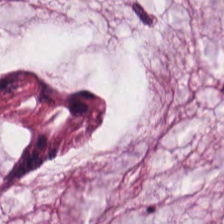0.5 µm/px; hematoxylin and eosin — The tissue here is mucus.
